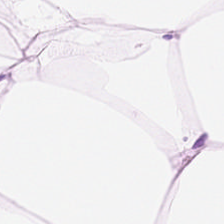Formalin-fixed paraffin-embedded section · 224×224 px tile · H&E-stained tissue section — Histology — adipocytes.
